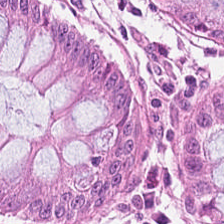H&E stain · WSI patch. This field is benign colonic mucosa.
